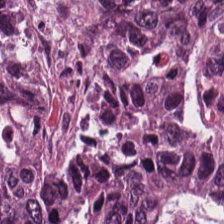Brightfield; FFPE tissue section; H&E-stained tissue section. Predominantly tumor epithelium.
